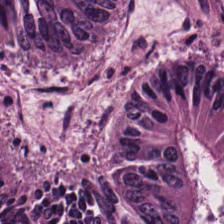Brightfield microscopy. H&E stain. The tissue here is colorectal adenocarcinoma.
